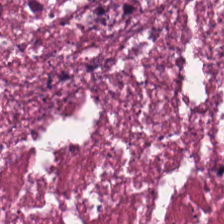0.5 µm per pixel; H&E stain; whole-slide-image patch. Classification: necrotic debris.
